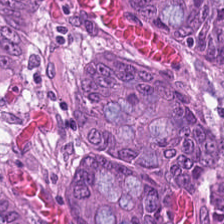Hematoxylin-and-eosin section: adenocarcinoma.
